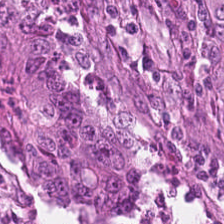H&E stain.
{"tissue_type": "adenocarcinoma"}
